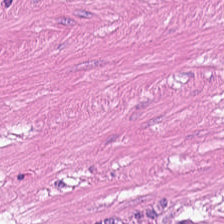H&E stain.
Showing smooth muscle.
